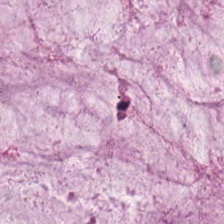H&E stain; 224×224 px tile; 20× equivalent magnification — The tissue here is mucus.
